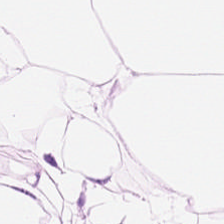H&E — fat tissue.
